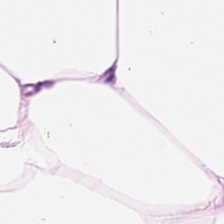Hematoxylin and eosin. Tissue type: adipocytes.
